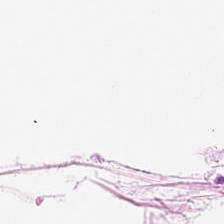Hematoxylin and eosin — Classification — adipose.
